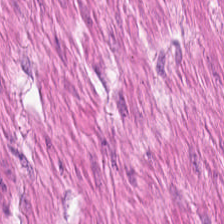Hematoxylin-and-eosin stained section · FFPE tissue section.
Muscularis.
